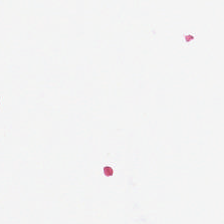H&E stain.
Histology — background (no tissue).
